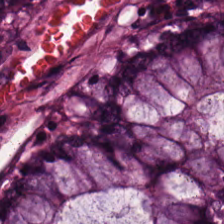Whole-slide-image patch. Hematoxylin-and-eosin stained section — Impression → normal colon mucosa.
